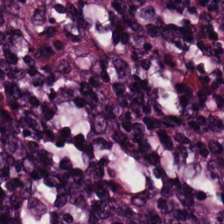Histology — lymphocytes.
